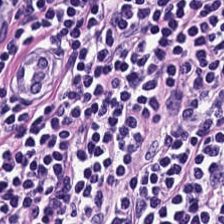Tissue type = lymphocyte aggregate.
